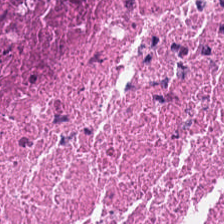224×224 px patch. FFPE tissue section. H&E — Necrotic debris.
